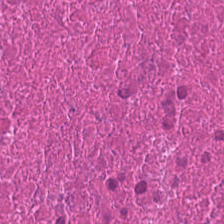H&E stain. {"tissue_type": "cellular debris"}
